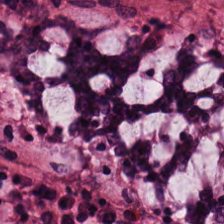Hematoxylin-and-eosin stained section.
Showing non-neoplastic colon mucosa.
